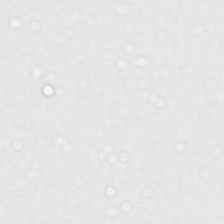Q: What is shown in this field?
A: The field shows background.
